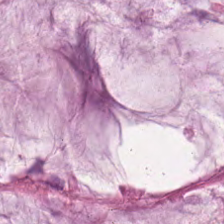Hematoxylin-and-eosin stained section · brightfield microscopy.
The predominant tissue is extracellular mucin.
